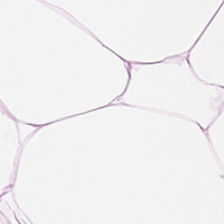Hematoxylin-and-eosin section: adipose tissue.
